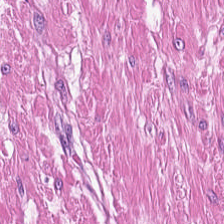H&E stain — The tissue here is muscularis.
